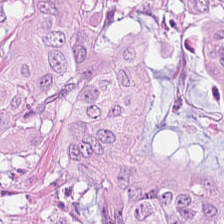H&E stain. Histology → malignant epithelium.
